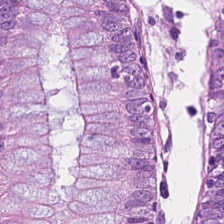Hematoxylin and eosin. Q: What type of tissue is this?
A: The field shows benign colonic mucosa.
